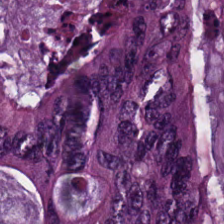Brightfield microscopy. Hematoxylin-and-eosin stained section — The tissue type is colorectal adenocarcinoma.
